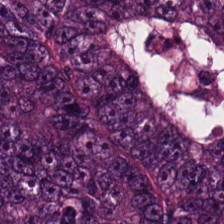Stain: H&E stain.
Tile size: 224×224 px patch.
Preparation: formalin-fixed paraffin-embedded section.
Classification: adenocarcinoma.
